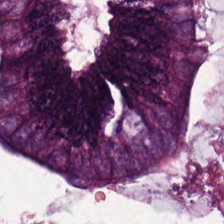Stain: hematoxylin and eosin.
Predominant tissue: malignant epithelium.
